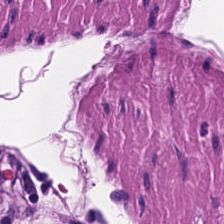The tissue class is smooth muscle.
